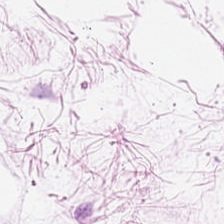Stain: H&E.
Tissue type: fat tissue.
